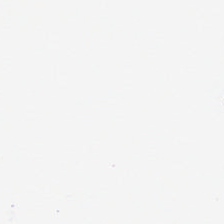FFPE tissue section. H&E. Q: Classify this patch.
A: The field shows empty background.
